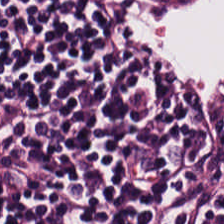Q: What type of tissue is this?
A: It is lymphocytes.
